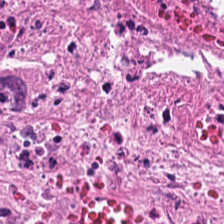H&E-stained tissue section showing cellular debris.
